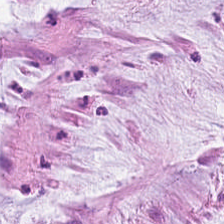Hematoxylin and eosin. 224×224 px tile. The predominant tissue is mucus.
